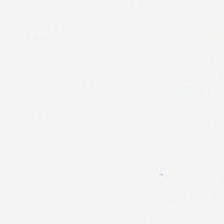H&E; 224×224 pixel tile. This patch shows no tissue.
